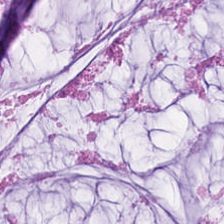H&E — Classification — extracellular mucin.
